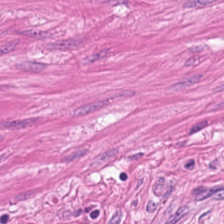Hematoxylin-and-eosin stained section. The tissue class is smooth muscle.
